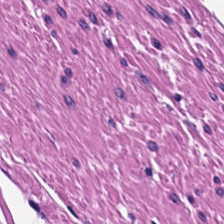224×224 px tile · hematoxylin-and-eosin stained section — Classification: smooth-muscle tissue.
